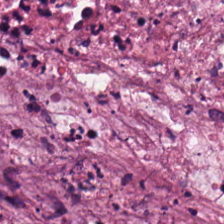Finding → cellular debris.
